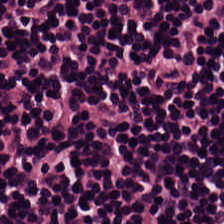{"tissue_type": "lymphocytes"}
